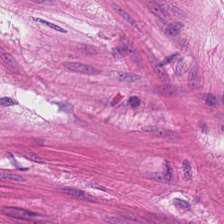H&E · brightfield. Tissue class: muscularis.
